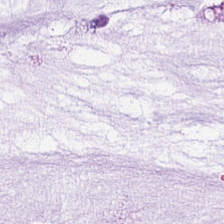H&E-stained tissue section. Extracellular mucin.
